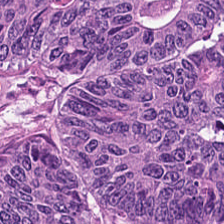Classification — colorectal adenocarcinoma.
